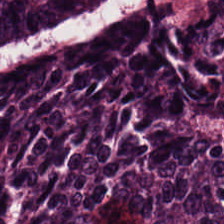Hematoxylin-and-eosin stained section; brightfield microscopy — Predominantly colorectal adenocarcinoma epithelium.
